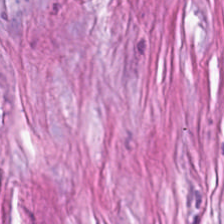{"tissue_type": "cancer-associated stroma"}
